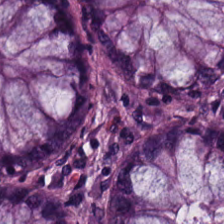H&E-stained tissue section; brightfield — Q: Identify the tissue.
A: Non-neoplastic colon mucosa.
